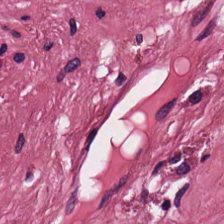Stain: H&E stain.
Resolution: 0.5 µm/px.
Tissue class: desmoplastic stroma.
